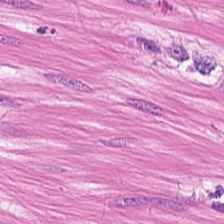H&E-stained section; the field shows smooth muscle.
